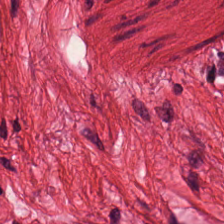Tissue type — smooth muscle.
